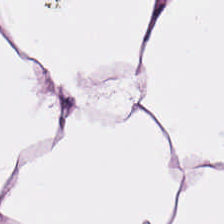H&E. WSI patch. Formalin-fixed paraffin-embedded section. Impression → adipose.
